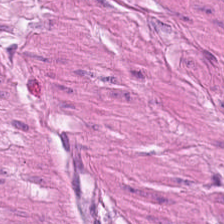H&E patch showing smooth muscle.
